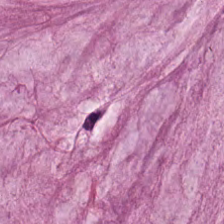0.5 microns per pixel. Hematoxylin and eosin — Predominant tissue: mucus.
